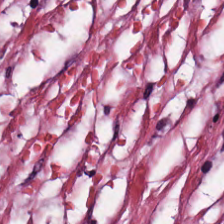H&E-stained tissue section — Tissue — tumor-associated stroma.
